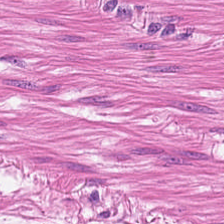H&E-stained tissue section. Muscularis.
